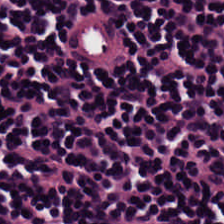H&E stain. Predominantly lymphocytic infiltrate.
